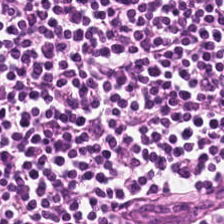Stain: hematoxylin and eosin.
Tile size: 224×224 pixel tile.
Resolution: 0.5 microns per pixel.
Predominant tissue: lymphocytes.
